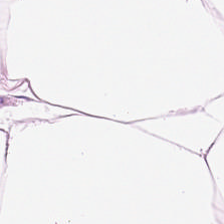{"tissue_type": "adipocytes"}
